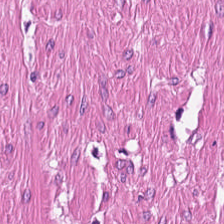H&E-stained tissue section; 224×224 pixel tile — The tissue here is smooth muscle.
